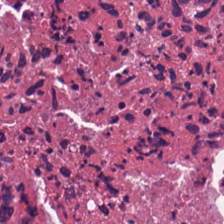The predominant tissue is debris.
